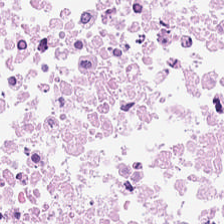The tissue class is debris.
